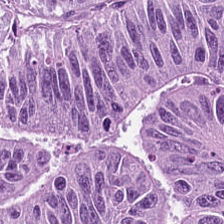The tissue is tumor epithelium.
